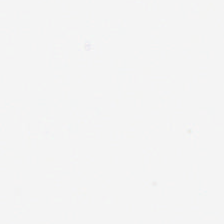Q: What is shown in this field?
A: This is background.
